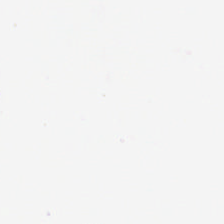Hematoxylin and eosin; 224×224 pixel tile. Field content — empty background.
